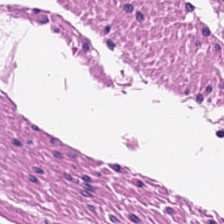Hematoxylin-and-eosin stained section. Whole-slide-image patch. Q: Classify this patch.
A: Muscularis.
